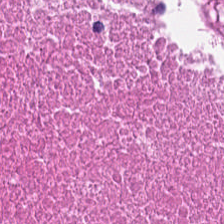H&E stain.
Tissue: necrotic debris.
